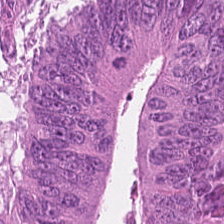Hematoxylin and eosin — Showing adenocarcinoma.
